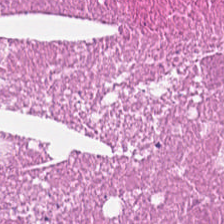Hematoxylin-and-eosin stained section.
This patch shows cellular debris.
